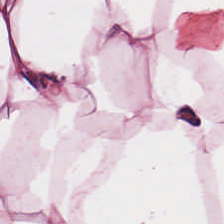224×224 px patch. Hematoxylin-and-eosin stained section. Brightfield microscopy — Showing fat tissue.
